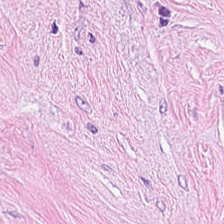Stain: H&E.
Tissue type: cancer-associated stroma.
